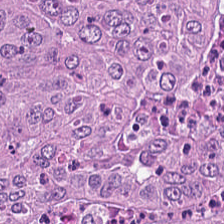Stain: H&E stain.
Predominant tissue: tumor epithelium.
